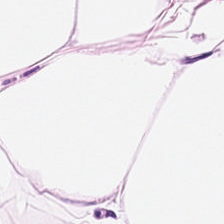H&E-stained tissue section. 0.5 µm/px.
Q: What tissue type is shown here?
A: The field shows fat tissue.
